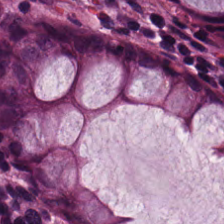Stain: H&E stain.
Tile size: 224×224 px tile.
Predominant tissue: non-neoplastic colon mucosa.
